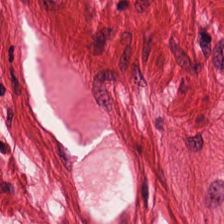{"tissue_type": "smooth muscle"}
